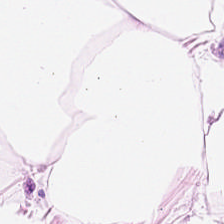H&E-stained tissue section · WSI patch.
Finding → adipose.
